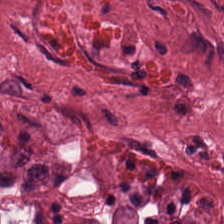224×224 px patch · H&E.
Finding → tumor-associated stroma.
